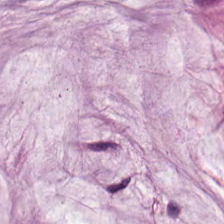H&E-stained tissue section. {"tissue_type": "extracellular mucin"}
